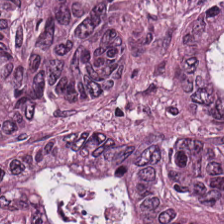Brightfield microscopy · H&E stain — Showing colorectal adenocarcinoma.
